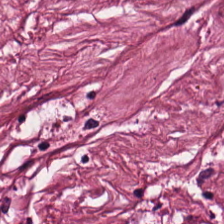0.5 µm/px · 224×224 pixel tile · hematoxylin-and-eosin stained section — Finding → tumor stroma.
